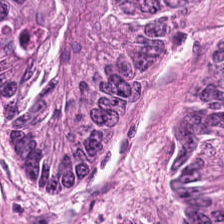This patch shows tumor epithelium.
